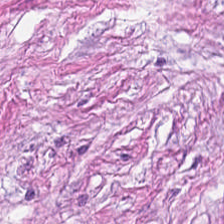Hematoxylin-and-eosin stained section.
This patch shows tumor stroma.
